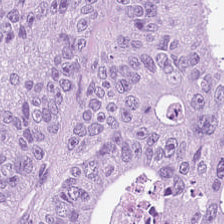Stain: H&E.
Tissue type: adenocarcinoma.
